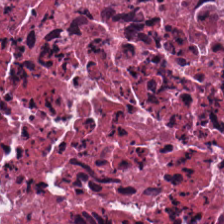WSI patch; H&E.
{"tissue_type": "debris"}
